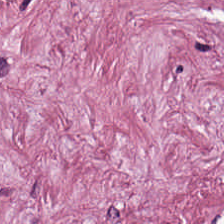FFPE tissue section. Hematoxylin-and-eosin stained section — Tumor-associated stroma.
